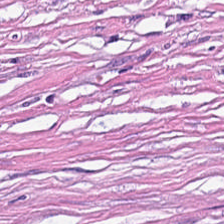H&E-stained tissue section. Histology → cancer-associated stroma.
